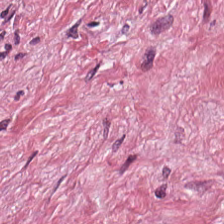Stain: H&E-stained tissue section.
Tissue class: tumor-associated stroma.
